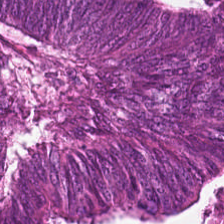FFPE. Hematoxylin and eosin.
Showing colorectal adenocarcinoma epithelium.
